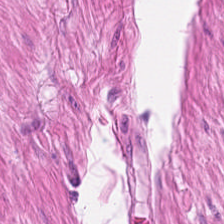H&E stain — Predominantly smooth-muscle tissue.
